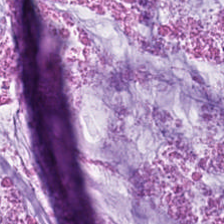Formalin-fixed paraffin-embedded section. 224×224 px patch. H&E. The tissue type is extracellular mucin.
